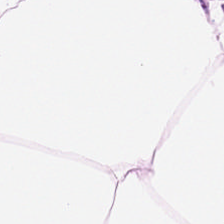Hematoxylin-and-eosin stained section. WSI patch.
The tissue is adipose tissue.
